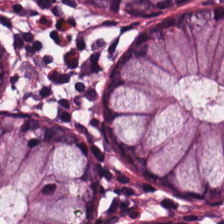Q: Identify the tissue.
A: The field shows normal colonic mucosa.
